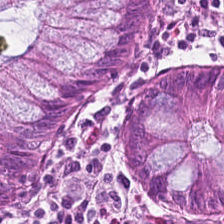H&E-stained tissue section. Showing non-neoplastic colon mucosa.
